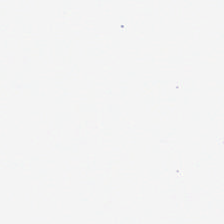H&E. The classification is background (no tissue).
